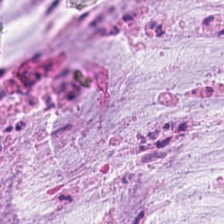Stain: H&E.
Preparation: FFPE tissue section.
Classification: extracellular mucin.
